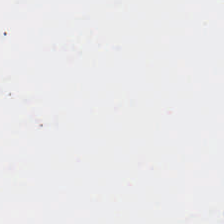Hematoxylin and eosin.
No tissue present; background only.
